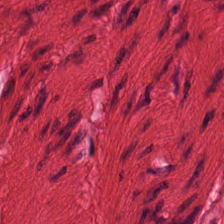This patch shows smooth muscle.
